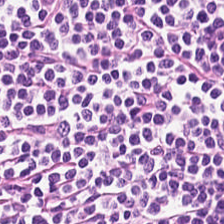Showing lymphoid infiltrate.
